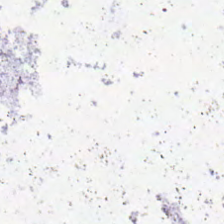H&E-stained tissue section. Classification = empty background.
